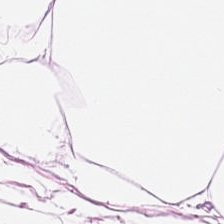FFPE tissue section · whole-slide-image patch · hematoxylin and eosin — Tissue: fat tissue.
